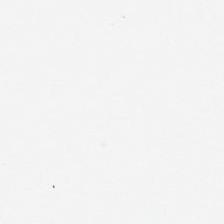H&E.
{"content": "background (no tissue)"}
